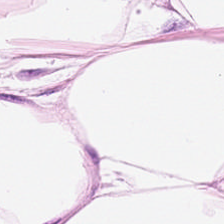20× equivalent magnification · H&E. Q: Identify the tissue.
A: Adipocytes.
